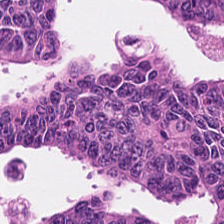H&E. Brightfield. FFPE. The tissue here is adenocarcinoma.
